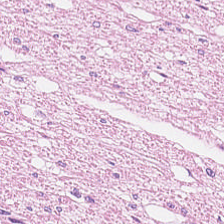Hematoxylin-and-eosin stained section — The tissue here is muscularis.
